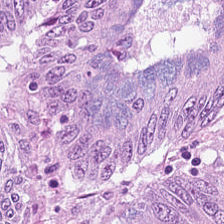H&E-stained tissue section. Formalin-fixed paraffin-embedded section. Predominantly adenocarcinoma.
